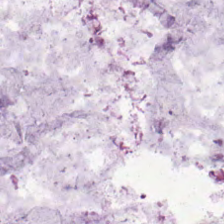Predominantly extracellular mucin.
